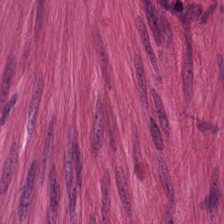{"tissue_type": "smooth-muscle tissue"}
